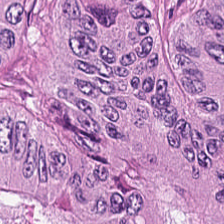H&E-stained tissue section. This patch shows adenocarcinoma.
